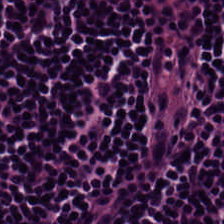Q: What is shown here?
A: It is lymphocytes.
